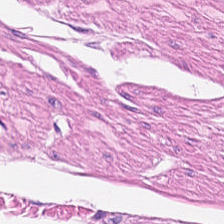Hematoxylin and eosin · 0.5 microns per pixel. Tissue — smooth muscle.
